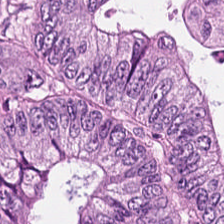Hematoxylin-and-eosin stained section — Tissue type: adenocarcinoma.
